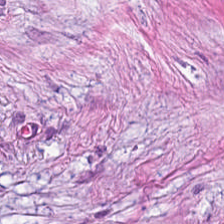H&E stain.
{"tissue_type": "tumor-associated stroma"}
